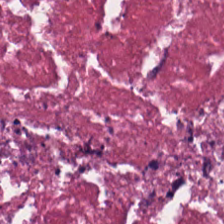224×224 px patch; H&E; 20× equivalent magnification — The tissue here is necrotic debris.
